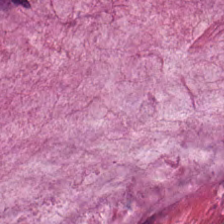Hematoxylin and eosin. 0.5 µm/px. Finding — mucus.
